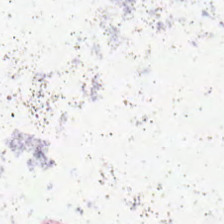Hematoxylin and eosin; whole-slide-image patch. Field content = background (no tissue).
